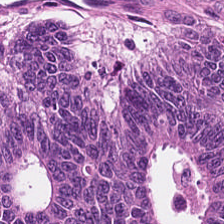Hematoxylin and eosin.
The predominant tissue is colorectal adenocarcinoma.
